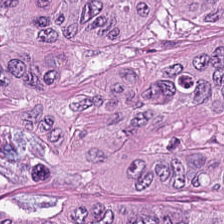The classification is malignant epithelium.
